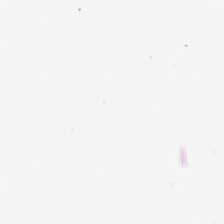Stain: hematoxylin-and-eosin stained section.
Field content: background (no tissue).
